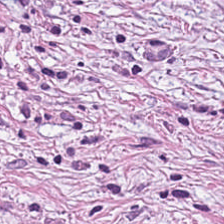Stain: H&E stain.
Tissue: cancer-associated stroma.
